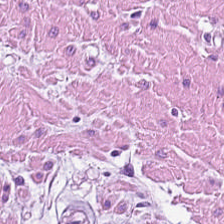Formalin-fixed paraffin-embedded section. H&E.
Q: What is shown here?
A: Smooth muscle.
